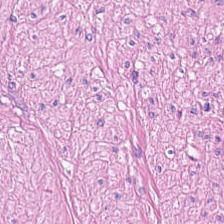Q: What type of tissue is this?
A: The field shows muscularis.
